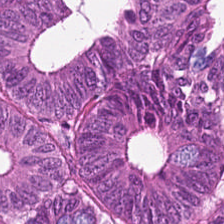Showing colorectal adenocarcinoma epithelium.
